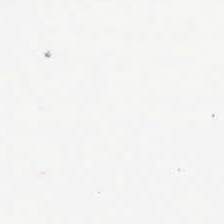Q: What is shown here?
A: The field shows empty background.
